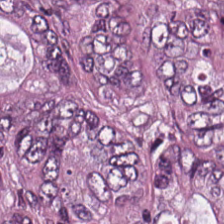H&E-stained tissue section.
Predominantly colorectal adenocarcinoma.
